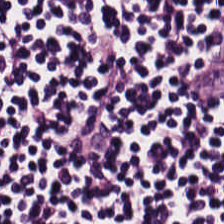H&E stain. Q: Identify the tissue.
A: This is lymphocyte aggregate.
